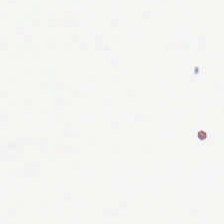Hematoxylin-and-eosin stained section · 224×224 px patch.
No tissue present; background only.
